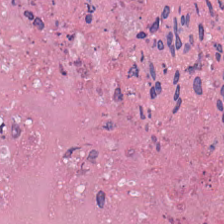Hematoxylin-and-eosin stained section.
Showing cellular debris.
